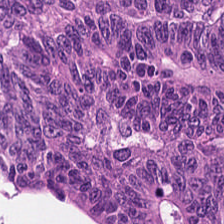Stain: H&E.
Tile size: 224×224 px patch.
Tissue class: tumor epithelium.
